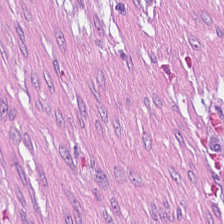0.5 µm/px · hematoxylin and eosin — Q: What does this patch show?
A: The field shows tumor stroma.
